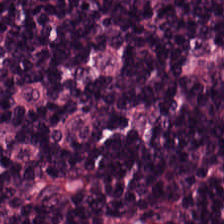Stain: H&E-stained tissue section.
Classification: lymphoid infiltrate.
